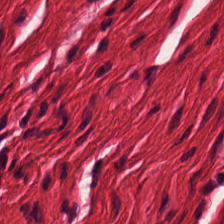FFPE tissue section · H&E-stained tissue section · brightfield microscopy.
Tissue — smooth-muscle tissue.
